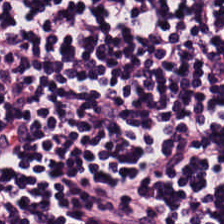The classification is lymphocyte aggregate.
